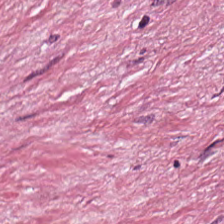Hematoxylin and eosin.
The tissue here is desmoplastic stroma.
